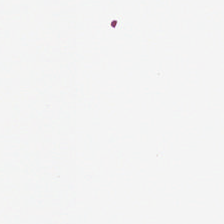H&E — Histology → no tissue.
